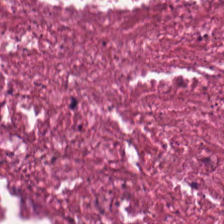{"tissue_type": "debris"}
